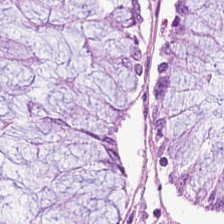H&E-stained tissue section.
Tissue type: normal colonic mucosa.
